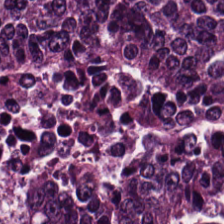H&E stain.
Tissue type: adenocarcinoma.
